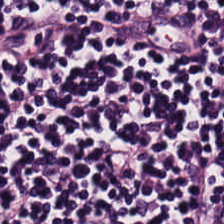H&E. {"tissue_type": "lymphoid infiltrate"}
